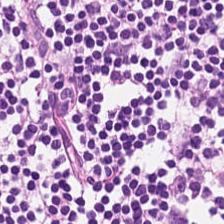H&E-stained tissue section · whole-slide-image patch. Lymphocytic infiltrate.
